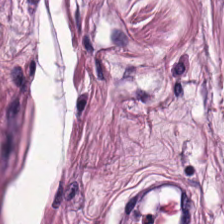Hematoxylin-and-eosin stained section — This field is smooth muscle.
